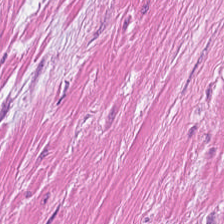Hematoxylin-and-eosin stained section. 224×224 px tile. 0.5 microns per pixel. The tissue here is muscularis.
